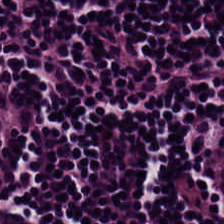FFPE. Hematoxylin and eosin.
Classification = lymphoid infiltrate.
